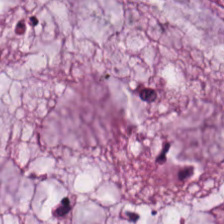FFPE tissue section; 224×224 px tile; H&E. This field is mucin.
